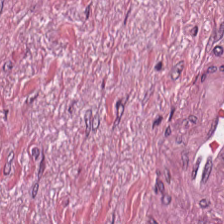Whole-slide-image patch. H&E stain. FFPE — Predominantly cancer-associated stroma.
